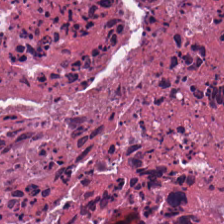Classification: necrotic debris.
